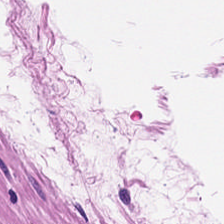Hematoxylin and eosin. WSI patch — Q: Classify this patch.
A: Muscularis.
